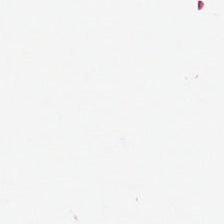H&E stain.
This field is background (no tissue).
